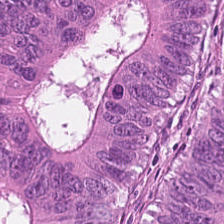H&E stain. Showing adenocarcinoma.
